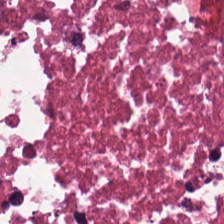Impression — debris.
